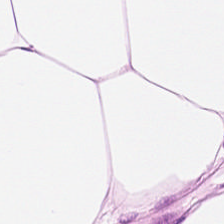Formalin-fixed paraffin-embedded section. H&E-stained tissue section. Brightfield microscopy — Tissue type = adipocytes.
